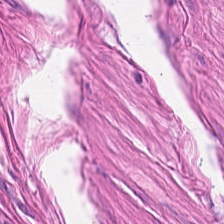H&E — smooth muscle.
